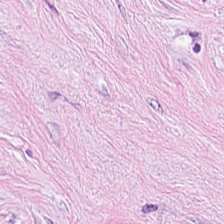224×224 px tile. Hematoxylin-and-eosin stained section. Brightfield microscopy — Tumor-associated stroma.
